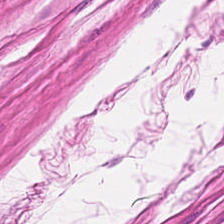Stain: H&E.
Tissue type: muscularis.
